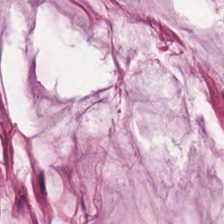0.5 µm/px. FFPE. Hematoxylin-and-eosin stained section.
Finding → extracellular mucin.
